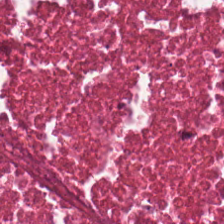H&E. Brightfield — Q: What is shown here?
A: The field shows necrotic debris.
